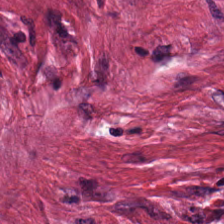Hematoxylin-and-eosin stained section. 20× equivalent magnification — Predominantly tumor stroma.
